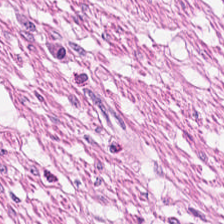20× equivalent magnification. Hematoxylin-and-eosin stained section. 224×224 pixel tile — The predominant tissue is muscularis.
